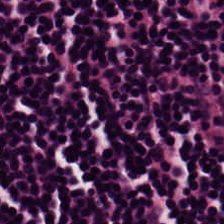{"tissue_type": "lymphocytic infiltrate"}
